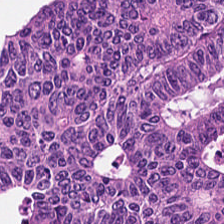Stain: hematoxylin and eosin.
Tissue: adenocarcinoma.
